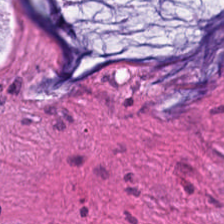H&E stain — {"tissue_type": "mucin"}
